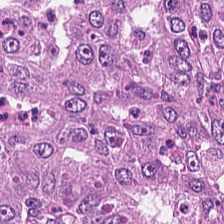Hematoxylin-and-eosin stained section.
Classification = tumor epithelium.
